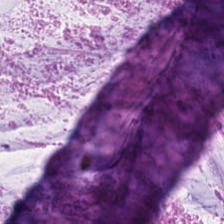FFPE tissue section · hematoxylin-and-eosin stained section · 0.5 µm per pixel — Tissue class — mucin.
